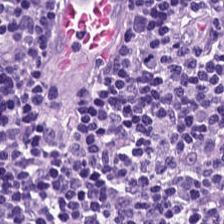Hematoxylin and eosin; 224×224 pixel tile — Predominant tissue: lymphocyte aggregate.
